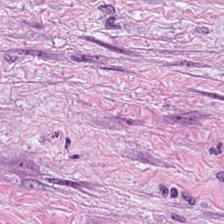Brightfield; FFPE tissue section; hematoxylin and eosin — Q: What type of tissue is this?
A: The field shows tumor-associated stroma.
